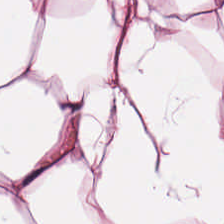Hematoxylin-and-eosin stained section. Whole-slide-image patch. Q: What tissue type is shown here?
A: It is adipose tissue.
